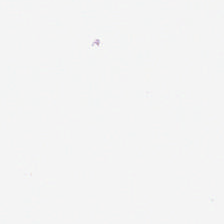H&E — Background.
